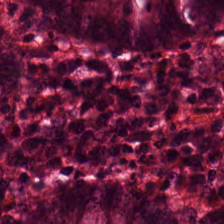H&E stain.
Q: What tissue is shown?
A: It is non-neoplastic colon mucosa.
